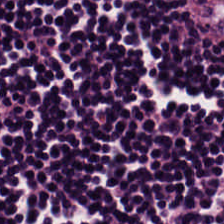H&E-stained tissue section.
Finding → lymphocytic infiltrate.
